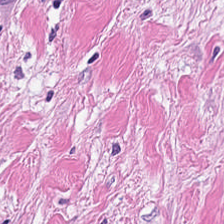FFPE tissue section. H&E stain. Brightfield microscopy. This patch shows desmoplastic stroma.
